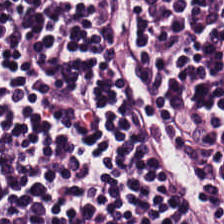H&E-stained tissue section — The tissue class is lymphocytes.
